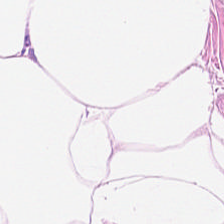Stain: H&E-stained tissue section.
Predominant tissue: adipose.
